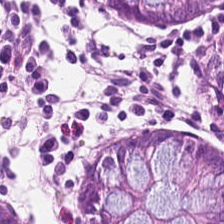H&E-stained tissue section. This patch shows normal colonic mucosa.
